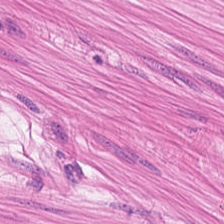Impression → muscularis.
